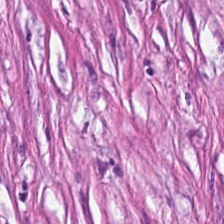H&E. The tissue is desmoplastic stroma.
